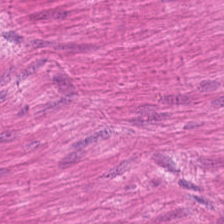Hematoxylin and eosin — Smooth muscle.
